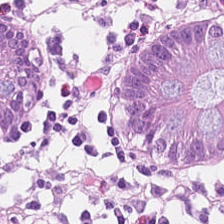The tissue type is benign colonic mucosa.
